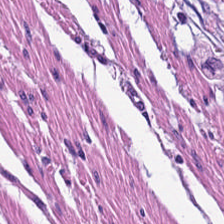Stain: H&E stain.
Tissue: smooth muscle.
